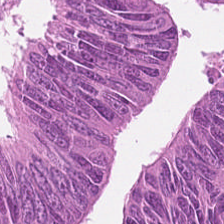FFPE. H&E-stained tissue section.
Predominantly malignant epithelium.
